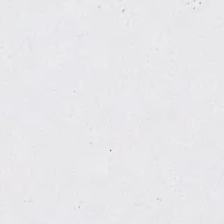Hematoxylin-and-eosin stained section — {"content": "no tissue"}
